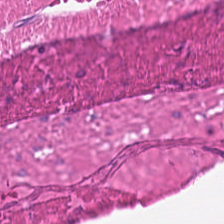Hematoxylin and eosin — Impression — smooth muscle.
